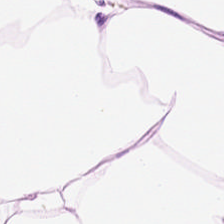Hematoxylin-and-eosin stained section; formalin-fixed paraffin-embedded section — {"tissue_type": "adipocytes"}
